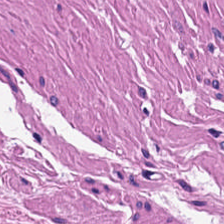The tissue here is smooth muscle.
